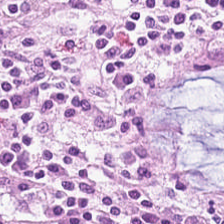Q: What tissue is shown?
A: This is non-neoplastic colon mucosa.
